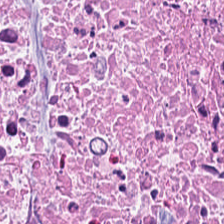Stain: H&E stain.
Predominant tissue: debris.
